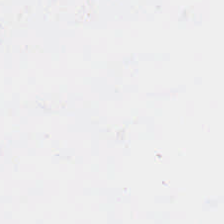Empty field — background.
